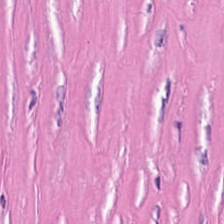H&E stain; 0.5 µm/px. Q: What is shown in this field?
A: It is tumor-associated stroma.
